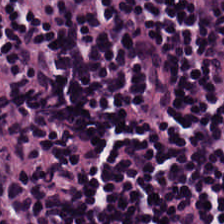The tissue class is lymphocyte aggregate.
